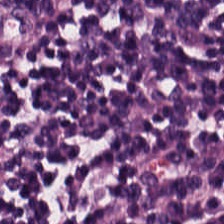Stain: H&E-stained tissue section.
Classification: lymphoid infiltrate.
